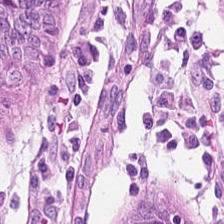H&E-stained tissue section showing normal colonic mucosa.
